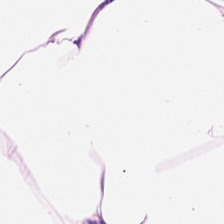H&E stain. The tissue here is adipocytes.
